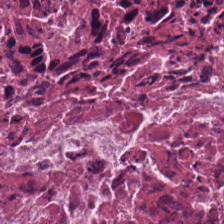H&E-stained tissue section · 20× equivalent magnification. Predominant tissue = cellular debris.
